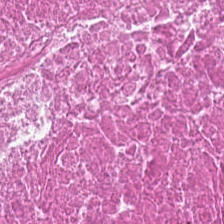H&E patch showing debris.
